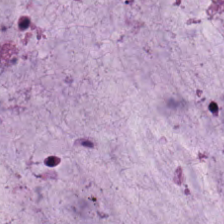WSI patch · hematoxylin-and-eosin stained section. Q: What does this patch show?
A: Mucus.
